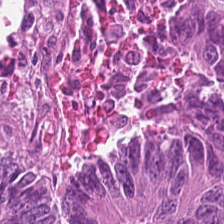Stain: hematoxylin-and-eosin stained section.
Acquisition: brightfield microscopy.
Tissue: colorectal adenocarcinoma epithelium.
